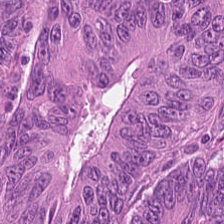The tissue class is tumor epithelium.
